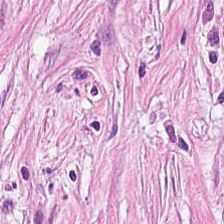Stain: hematoxylin and eosin.
Tissue: cancer-associated stroma.
